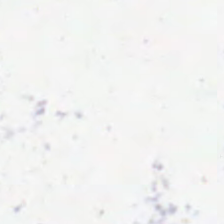H&E. FFPE. WSI patch — Histology → background.
